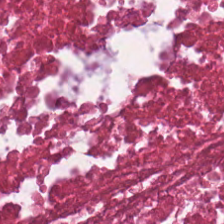224×224 px patch · hematoxylin and eosin · formalin-fixed paraffin-embedded section — Q: What tissue is shown?
A: This is debris.
